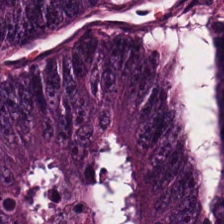FFPE · hematoxylin and eosin.
{"tissue_type": "tumor epithelium"}
